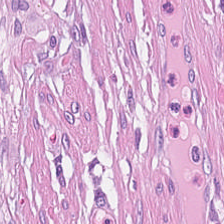Whole-slide-image patch. 0.5 µm per pixel. Hematoxylin and eosin.
Impression → cancer-associated stroma.
